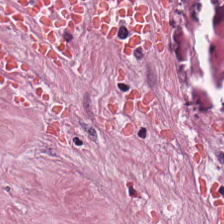Whole-slide-image patch · FFPE tissue section · hematoxylin-and-eosin stained section.
The tissue here is desmoplastic stroma.
